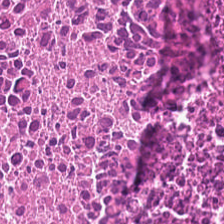Hematoxylin-and-eosin stained section — Finding — debris.
